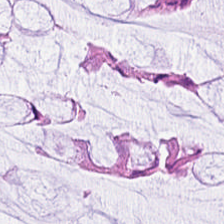H&E-stained tissue section. This patch shows benign colonic mucosa.
